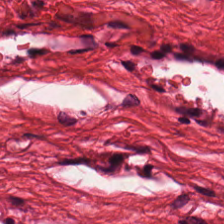FFPE tissue section. Hematoxylin and eosin.
{"tissue_type": "muscularis"}
